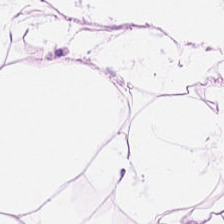Stain: hematoxylin and eosin.
Tile size: 224×224 px patch.
Acquisition: brightfield microscopy.
Tissue: adipose.
